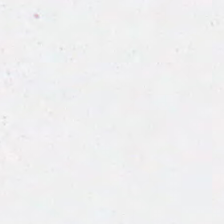H&E. The classification is background.
